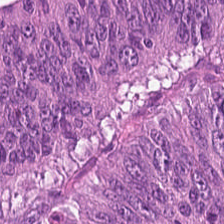H&E — colorectal adenocarcinoma epithelium.
